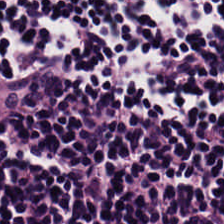H&E-stained section; the field shows lymphocytic infiltrate.
